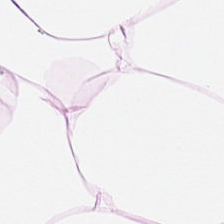Hematoxylin-and-eosin stained section; WSI patch — Histology → adipocytes.
